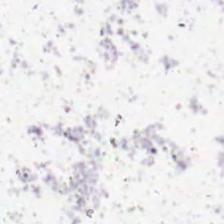Empty field — background (no tissue).
